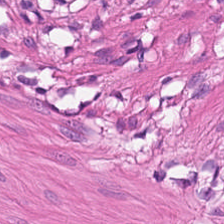Q: What does this patch show?
A: It is muscularis.
